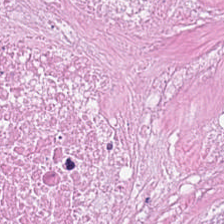H&E stain. Tissue type — necrotic debris.
